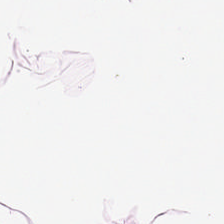Stain: H&E-stained tissue section.
Resolution: 20× equivalent magnification.
Tissue class: adipose.
